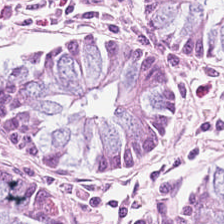Brightfield; 0.5 µm/px; H&E stain. Finding → normal colon mucosa.
